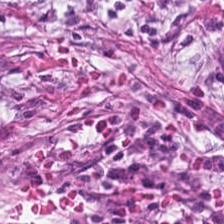Stain: hematoxylin and eosin.
Tissue: tumor-associated stroma.
